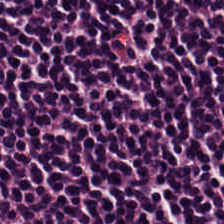H&E stain. The predominant tissue is lymphocytes.
